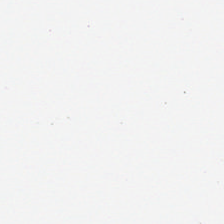Background — no tissue in this field.
